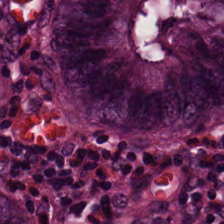Q: Identify the tissue.
A: This is benign colonic mucosa.
